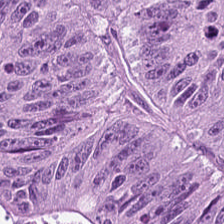H&E · WSI patch. Classification = colorectal adenocarcinoma.
